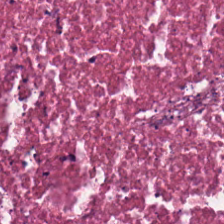H&E.
Q: Classify this patch.
A: This is cellular debris.
